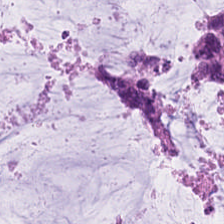Classification — mucus.
